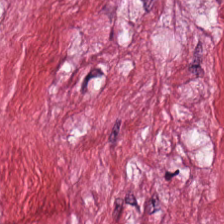H&E stain — Histology → desmoplastic stroma.
